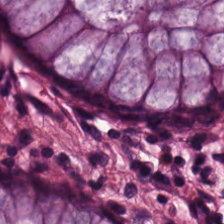Hematoxylin-and-eosin stained section. 0.5 µm per pixel — Predominantly non-neoplastic colon mucosa.
